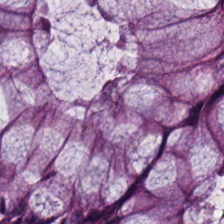Hematoxylin and eosin — The tissue here is normal colonic mucosa.
